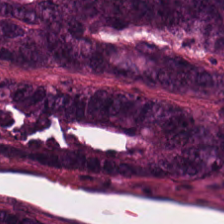Predominantly colorectal adenocarcinoma epithelium.
